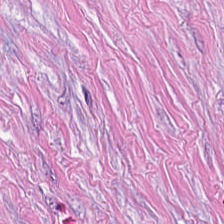H&E-stained tissue section. Q: What does this patch show?
A: The field shows cancer-associated stroma.
